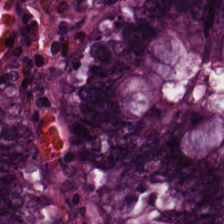Hematoxylin-and-eosin stained section. The predominant tissue is benign colonic mucosa.
